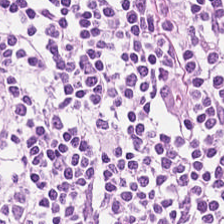H&E-stained tissue section — The tissue here is lymphoid infiltrate.
